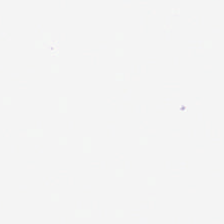H&E-stained tissue section. Background — no tissue in this field.
